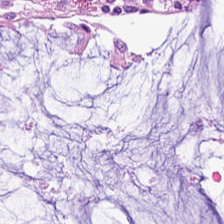Tissue class — benign colonic mucosa.
